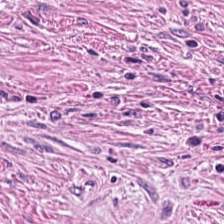224×224 pixel tile · hematoxylin-and-eosin stained section — Showing cancer-associated stroma.
